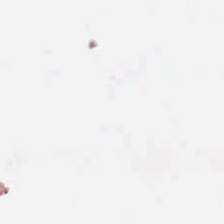Hematoxylin and eosin; 224×224 pixel tile. Q: What is shown here?
A: Empty background.
